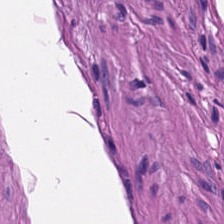Stain: hematoxylin-and-eosin stained section.
Preparation: formalin-fixed paraffin-embedded section.
Tissue class: muscularis.
